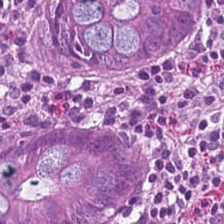Tissue type: normal colon mucosa.
